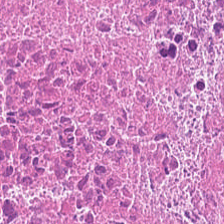H&E-stained section; the field shows necrotic debris.
